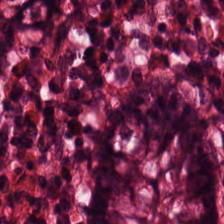Hematoxylin and eosin — {"tissue_type": "benign colonic mucosa"}
